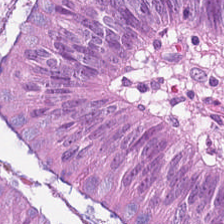Predominant tissue = tumor epithelium.
